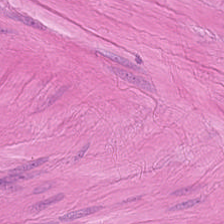Stain: H&E stain.
Tissue type: smooth-muscle tissue.
